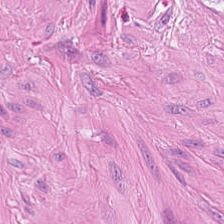Hematoxylin-and-eosin stained section. Predominantly smooth muscle.
